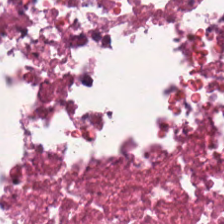Hematoxylin-and-eosin stained section — Tissue type = cellular debris.
